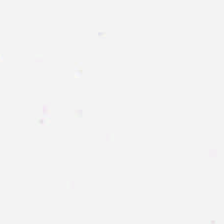H&E-stained tissue section · 224×224 pixel tile.
Background — no tissue in this field.
